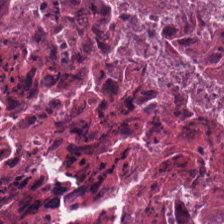H&E-stained tissue section — Predominantly debris.
